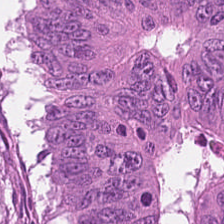H&E stain — Histology — malignant epithelium.
